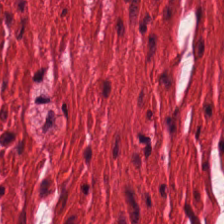Hematoxylin and eosin. WSI patch — {"tissue_type": "smooth muscle"}
